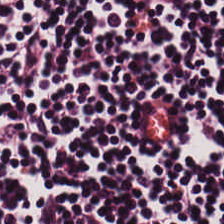Hematoxylin and eosin · 20× equivalent magnification.
The predominant tissue is lymphocytic infiltrate.
